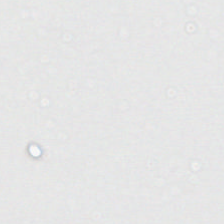H&E-stained tissue section — The field content is empty background.
